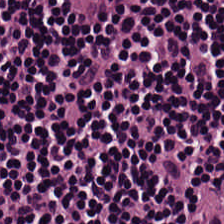Brightfield · H&E-stained tissue section.
Showing lymphocytes.
